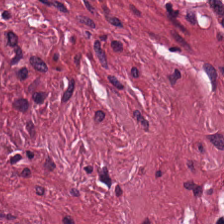H&E stain — Finding — cancer-associated stroma.
